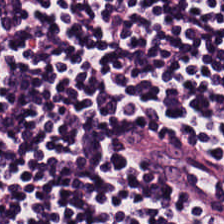Stain: H&E-stained tissue section.
Resolution: 0.5 microns per pixel.
Predominant tissue: lymphocytic infiltrate.
